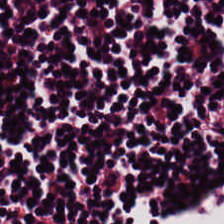Tissue class = lymphocytes.
